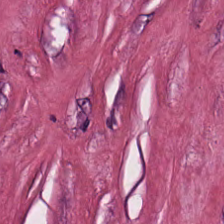FFPE · whole-slide-image patch · H&E-stained tissue section.
This field is desmoplastic stroma.
